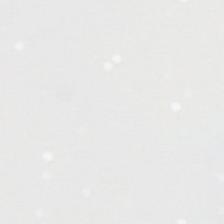Brightfield; hematoxylin and eosin; 0.5 µm per pixel — Finding — background (no tissue).
